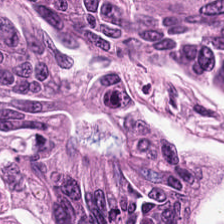Stain: H&E-stained tissue section.
Tissue: colorectal adenocarcinoma epithelium.
